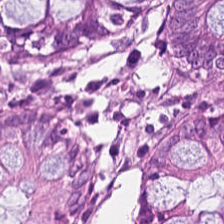Hematoxylin and eosin — Q: Identify the tissue.
A: It is normal colonic mucosa.
